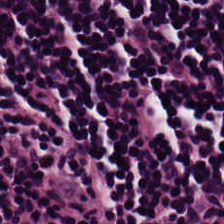Q: What does this patch show?
A: This is lymphocyte aggregate.
